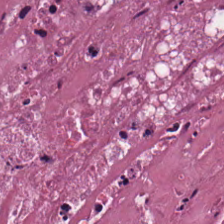Stain: hematoxylin and eosin.
Preparation: FFPE.
Tissue: debris.
